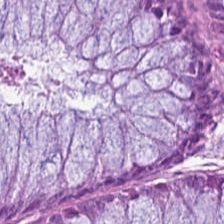H&E stain.
Predominantly normal colonic mucosa.
